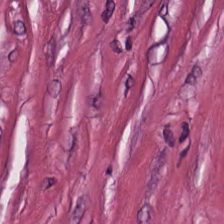H&E — Q: Classify this patch.
A: It is cancer-associated stroma.
